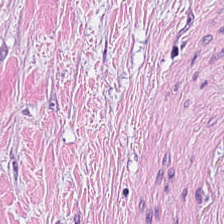H&E — This field is tumor-associated stroma.
